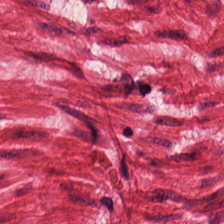H&E-stained tissue section.
This patch shows muscularis.
